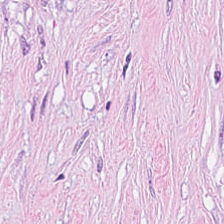Stain: H&E stain.
Tissue class: desmoplastic stroma.
